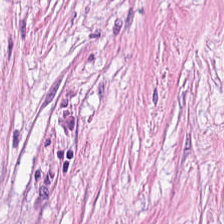224×224 px patch. Brightfield. H&E — Tissue = tumor stroma.
